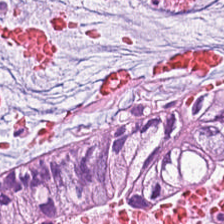H&E-stained tissue section. FFPE. This patch shows mucus.
